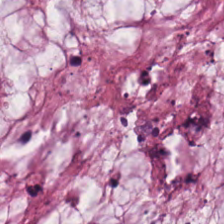FFPE tissue section; H&E stain.
{"tissue_type": "mucin"}
